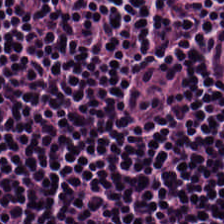Tissue = lymphocytic infiltrate.
